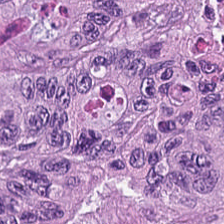H&E stain. FFPE tissue section. Predominantly malignant epithelium.
